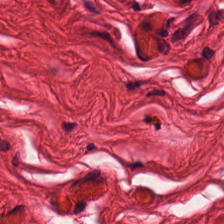Hematoxylin-and-eosin stained section.
The tissue is smooth muscle.
